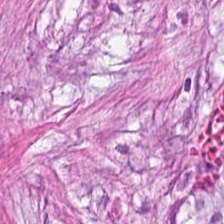H&E stain. Brightfield — Finding → tumor-associated stroma.
